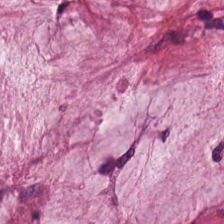H&E. 0.5 µm/px.
The classification is mucus.
